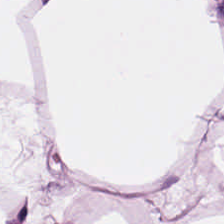Hematoxylin and eosin. Showing adipose tissue.
